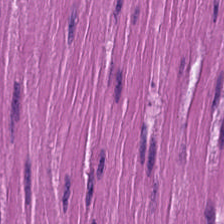Finding — muscularis.
